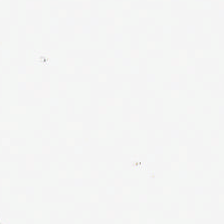224×224 px patch; hematoxylin-and-eosin stained section; formalin-fixed paraffin-embedded section — {"content": "background"}
